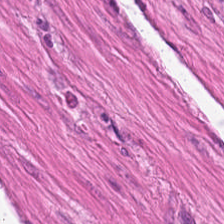Classification = smooth muscle.
